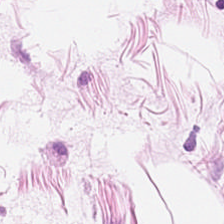Stain: hematoxylin and eosin.
Predominant tissue: adipose.
